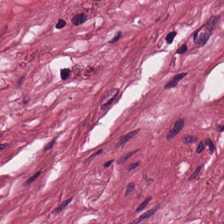H&E stain; FFPE. Predominantly cancer-associated stroma.
